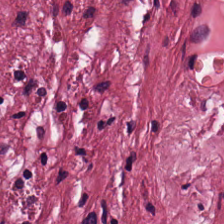H&E-stained tissue section. Impression → cancer-associated stroma.
